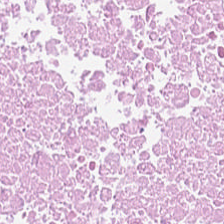H&E-stained tissue section — Histology → debris.
